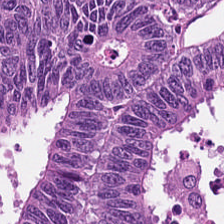H&E stain. This field is malignant epithelium.
